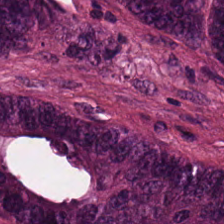224×224 px tile. H&E stain.
Showing malignant epithelium.
